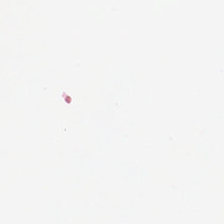H&E stain. Field content: empty background.
